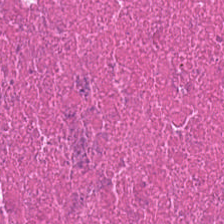Hematoxylin and eosin.
The tissue class is necrotic debris.
